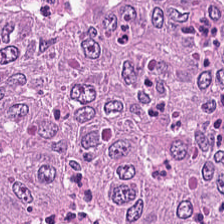Q: What is shown here?
A: Malignant epithelium.
